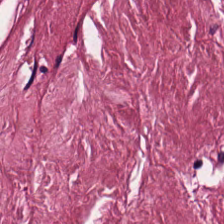Whole-slide-image patch. Hematoxylin and eosin — Tissue class: tumor stroma.
